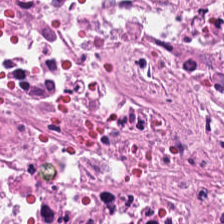Formalin-fixed paraffin-embedded section · H&E stain · 224×224 px patch.
Classification = cellular debris.
